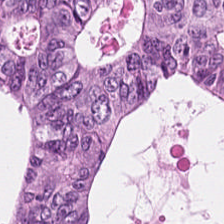H&E-stained tissue section — Tissue = tumor epithelium.
